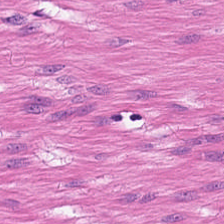The tissue here is muscularis.
